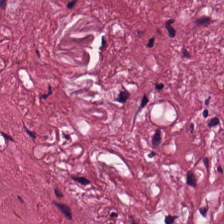Hematoxylin-and-eosin stained section.
Q: What is shown here?
A: Cancer-associated stroma.
